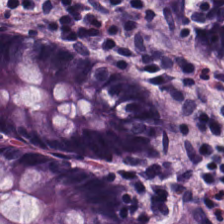H&E patch showing normal colonic mucosa.
